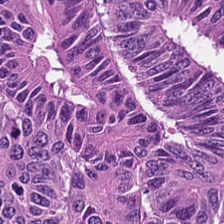The predominant tissue is colorectal adenocarcinoma epithelium.
